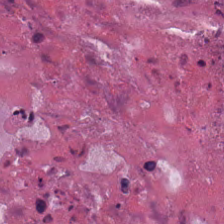FFPE tissue section · brightfield microscopy · hematoxylin and eosin. Q: What tissue is shown?
A: It is debris.
